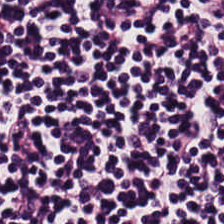0.5 microns per pixel · H&E — Q: What tissue type is shown here?
A: This is lymphocytes.
